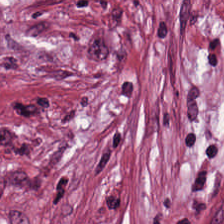H&E-stained section; the field shows desmoplastic stroma.
